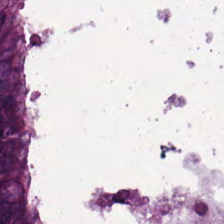Brightfield microscopy. H&E. 224×224 px tile. The tissue is colorectal adenocarcinoma epithelium.
